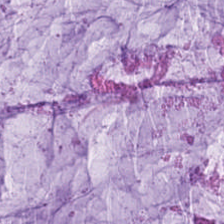20× equivalent magnification · 224×224 px patch · H&E stain. Tissue class: extracellular mucin.
